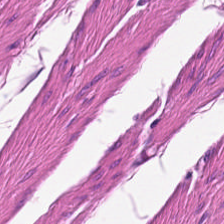Hematoxylin and eosin · 20× equivalent magnification — Q: Identify the tissue.
A: The field shows smooth muscle.
